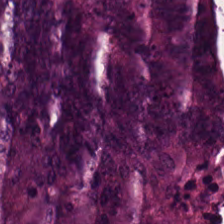Hematoxylin-and-eosin stained section.
The tissue type is colorectal adenocarcinoma epithelium.
